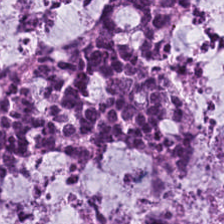0.5 µm/px; H&E — Tissue type — extracellular mucin.
